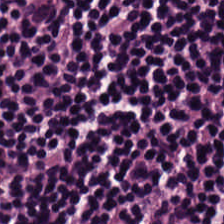H&E-stained tissue section.
Predominant tissue: lymphocyte aggregate.
